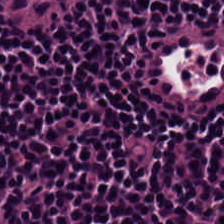Hematoxylin-and-eosin stained section — Classification — lymphocyte aggregate.
